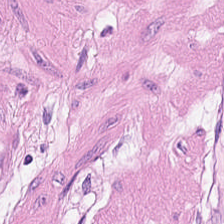Hematoxylin and eosin.
Classification = muscularis.
